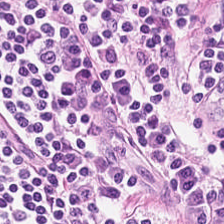FFPE. 0.5 µm per pixel. Hematoxylin-and-eosin stained section.
Tissue type = lymphocytic infiltrate.
